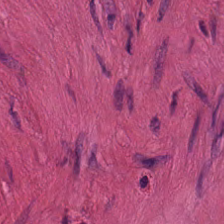H&E stain.
This patch shows smooth-muscle tissue.
